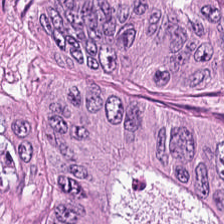H&E. This field is adenocarcinoma.
